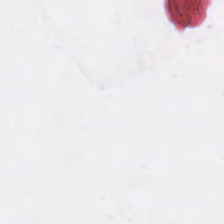Background — no tissue in this field.
